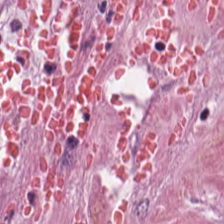{"tissue_type": "desmoplastic stroma"}
